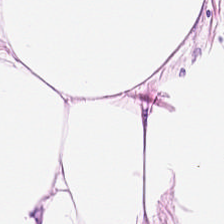224×224 px patch; hematoxylin and eosin. Classification: adipose.
